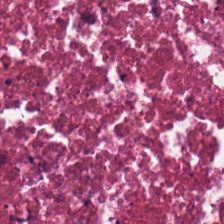FFPE; H&E stain. This patch shows necrotic debris.
